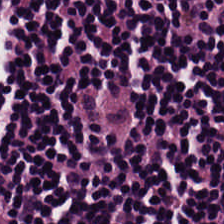Hematoxylin-and-eosin stained section.
Histology → lymphocyte aggregate.
